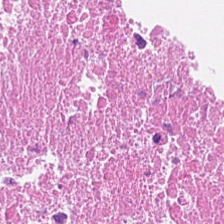Stain: H&E.
Resolution: 20× equivalent magnification.
Tissue type: necrotic debris.
